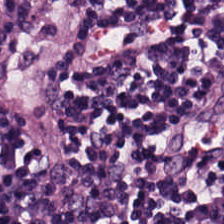Q: What is the predominant tissue type?
A: It is lymphoid infiltrate.
